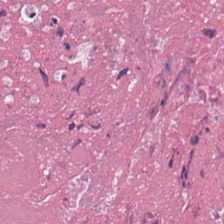H&E-stained tissue section; formalin-fixed paraffin-embedded section. Histology → debris.
